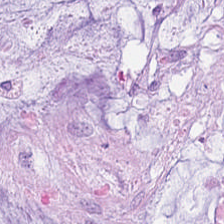Hematoxylin and eosin. Q: What tissue type is shown here?
A: Mucin.
